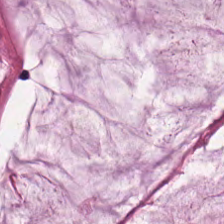Hematoxylin-and-eosin section: mucus.
